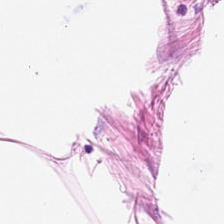Hematoxylin-and-eosin stained section. Q: What is the predominant tissue type?
A: The field shows adipocytes.
